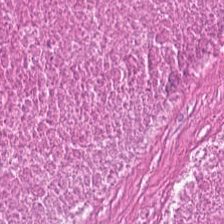224×224 pixel tile · H&E-stained tissue section — Showing cellular debris.
